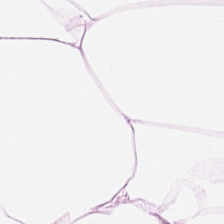H&E-stained tissue section.
{"tissue_type": "adipocytes"}
